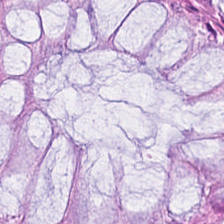H&E stain; 224×224 px patch — Tissue class = non-neoplastic colon mucosa.
